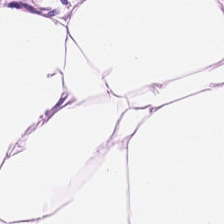Hematoxylin and eosin. Predominant tissue: adipose tissue.
